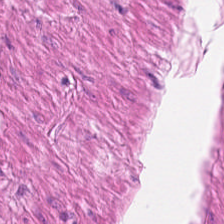H&E — This field is smooth-muscle tissue.
